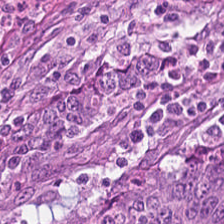H&E — {"tissue_type": "malignant epithelium"}
